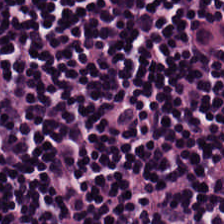Brightfield microscopy. 224×224 px patch. H&E.
Q: What is shown here?
A: This is lymphoid infiltrate.
